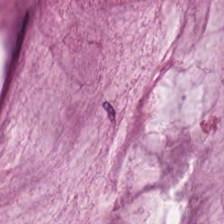H&E patch showing extracellular mucin.
